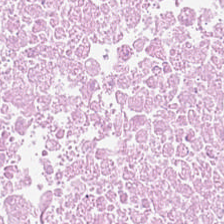H&E-stained tissue section.
Necrotic debris.
